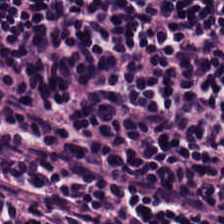H&E stain. Showing lymphocytes.
